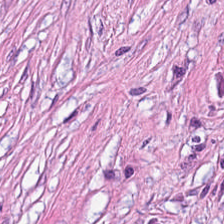Stain: hematoxylin and eosin.
Classification: desmoplastic stroma.
